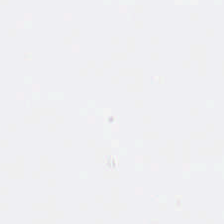Hematoxylin and eosin · 224×224 pixel tile — Q: What does this patch show?
A: This is background.
